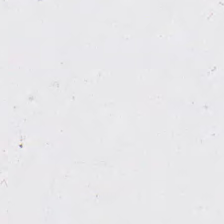H&E stain. The field content is no tissue.
